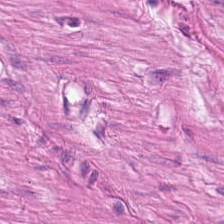H&E stain. Classification — smooth muscle.
